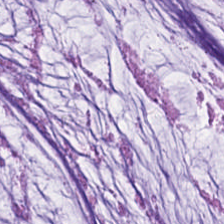H&E. Q: What does this patch show?
A: It is extracellular mucin.
